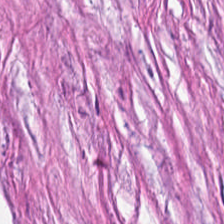224×224 px patch; 0.5 µm per pixel; H&E stain — The predominant tissue is cancer-associated stroma.
